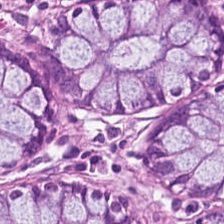20× equivalent magnification · H&E stain — The predominant tissue is normal colonic mucosa.
